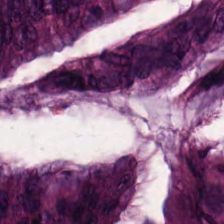Hematoxylin and eosin. This field is malignant epithelium.
